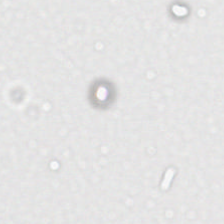H&E stain — Finding — background.
